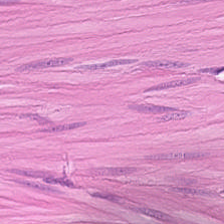FFPE tissue section · hematoxylin-and-eosin stained section · 224×224 px tile. Classification: smooth muscle.
